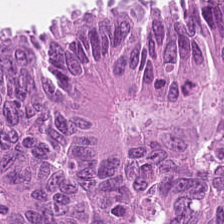Formalin-fixed paraffin-embedded section · 20× equivalent magnification · H&E stain — Finding → malignant epithelium.
